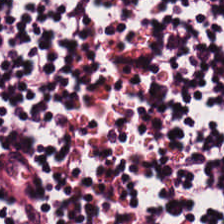20× equivalent magnification. H&E-stained tissue section — Histology — lymphocyte aggregate.
